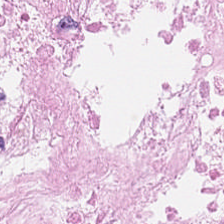0.5 µm per pixel. Formalin-fixed paraffin-embedded section. Hematoxylin-and-eosin stained section. Histology → necrotic debris.
